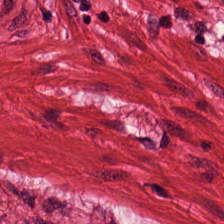Formalin-fixed paraffin-embedded section; hematoxylin and eosin — Histology — smooth muscle.
